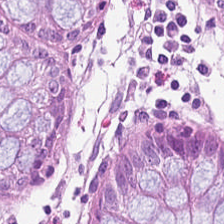Hematoxylin-and-eosin stained section · 0.5 µm per pixel — Histology → normal colon mucosa.
